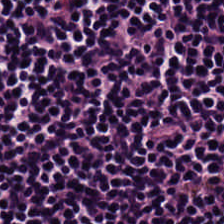FFPE tissue section · hematoxylin and eosin — Q: What tissue type is shown here?
A: The field shows lymphocytic infiltrate.
